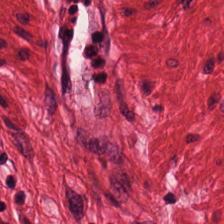Hematoxylin-and-eosin stained section.
Q: What is shown here?
A: The field shows smooth-muscle tissue.
